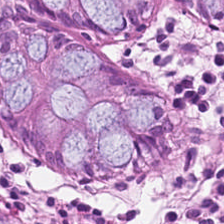H&E-stained tissue section — The tissue is normal colon mucosa.
